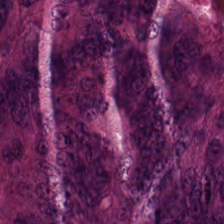H&E-stained tissue section. 224×224 pixel tile. FFPE tissue section — The tissue here is tumor epithelium.
